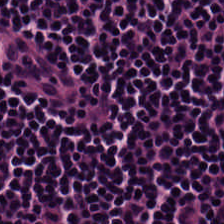The predominant tissue is lymphocytic infiltrate.
